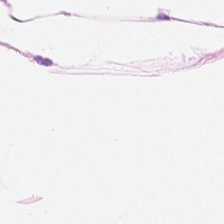Hematoxylin-and-eosin stained section.
Q: Classify this patch.
A: The field shows adipose.
